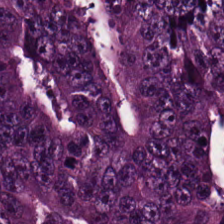Hematoxylin-and-eosin stained section. 0.5 microns per pixel. Q: What does this patch show?
A: The field shows tumor epithelium.
